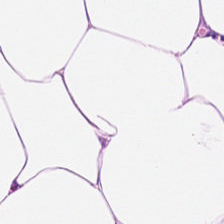The predominant tissue is adipose tissue.
